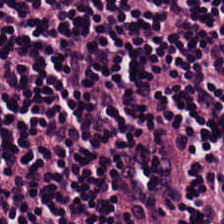H&E — The tissue here is lymphocytic infiltrate.
